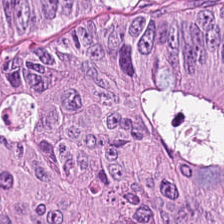Q: What is the predominant tissue type?
A: It is tumor epithelium.
